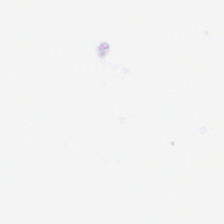{"content": "background"}
